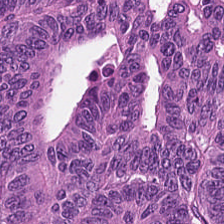{"tissue_type": "colorectal adenocarcinoma epithelium"}
